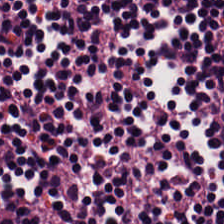H&E-stained tissue section.
Tissue type — lymphoid infiltrate.
